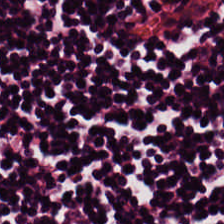H&E stain · 0.5 µm/px.
Q: Identify the tissue.
A: The field shows lymphocytes.
